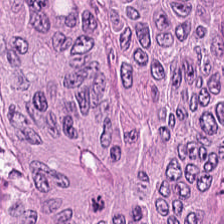Hematoxylin and eosin. FFPE. The tissue class is tumor epithelium.
